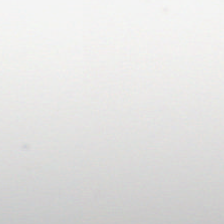H&E-stained tissue section — Q: What is shown here?
A: The field shows empty background.
